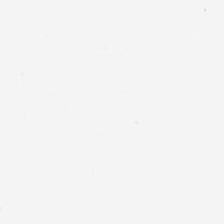Hematoxylin and eosin.
Field content = background (no tissue).
